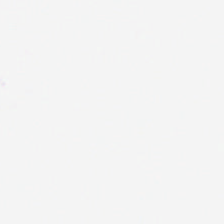Empty field — background.
